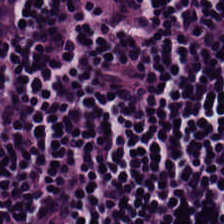Hematoxylin-and-eosin stained section — Q: Classify this patch.
A: The field shows lymphoid infiltrate.
